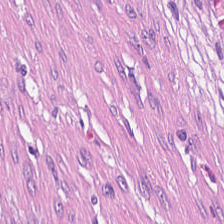Stain: H&E.
Classification: cancer-associated stroma.
